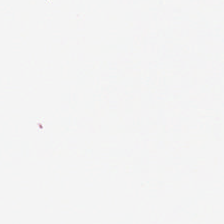H&E stain. FFPE tissue section. 0.5 µm/px — Q: What is shown in this field?
A: The field shows empty background.
